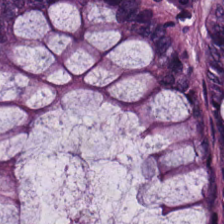Hematoxylin-and-eosin stained section; 224×224 px tile.
Q: What tissue type is shown here?
A: This is non-neoplastic colon mucosa.
